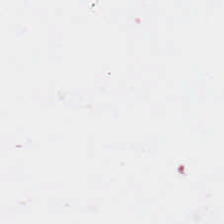Hematoxylin-and-eosin stained section.
Field content = background.
